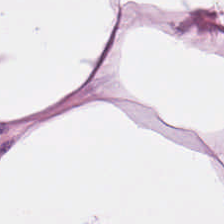224×224 px patch. Hematoxylin and eosin. This patch shows adipocytes.
